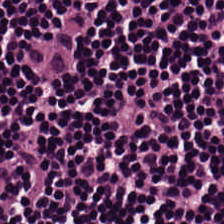H&E stain.
Q: What is shown in this field?
A: The field shows lymphocytes.
